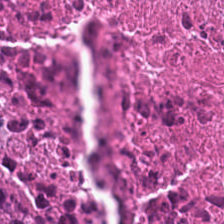Stain: hematoxylin and eosin.
Acquisition: whole-slide-image patch.
Preparation: FFPE.
Tissue type: debris.
